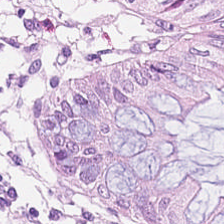Hematoxylin and eosin. Q: What is shown in this field?
A: This is normal colonic mucosa.
